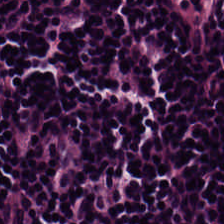Hematoxylin-and-eosin stained section — Q: What tissue type is shown here?
A: Lymphocytic infiltrate.
